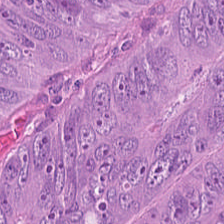Impression → adenocarcinoma.
